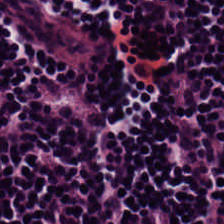Q: What type of tissue is this?
A: Lymphocytes.
